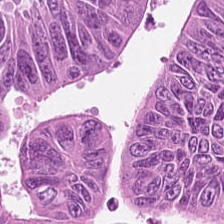Stain: H&E stain.
Tissue: malignant epithelium.
